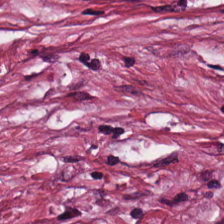Stain: H&E stain.
Tissue class: desmoplastic stroma.
